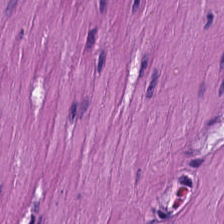Q: What is shown here?
A: Muscularis.
